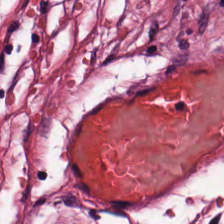Hematoxylin-and-eosin stained section · FFPE · brightfield.
Predominant tissue = cancer-associated stroma.
